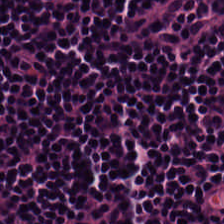H&E; 0.5 microns per pixel — This patch shows lymphoid infiltrate.
